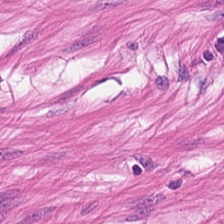H&E-stained tissue section. Whole-slide-image patch. Impression → smooth muscle.
